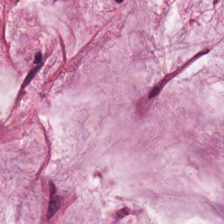Hematoxylin and eosin. This field is mucus.
